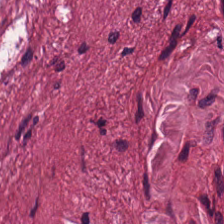Stain: H&E.
Preparation: formalin-fixed paraffin-embedded section.
Acquisition: brightfield microscopy.
Tissue: tumor-associated stroma.
